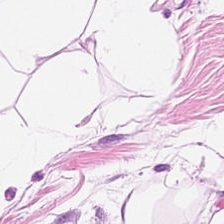H&E stain — Q: What is shown here?
A: Adipose.
